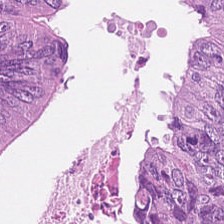H&E.
Classification — colorectal adenocarcinoma epithelium.
